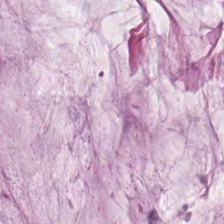H&E. Q: Identify the tissue.
A: It is mucin.
